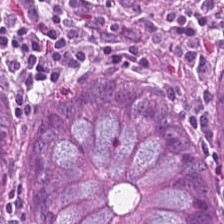Stain: H&E-stained tissue section.
Tile size: 224×224 pixel tile.
Tissue type: benign colonic mucosa.
